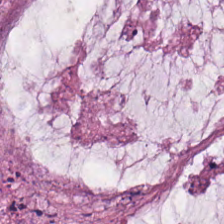Hematoxylin and eosin. 224×224 px tile.
Tissue class — mucin.
